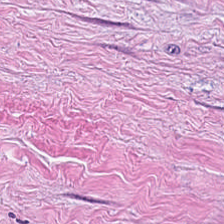Hematoxylin and eosin.
Histology — cancer-associated stroma.
